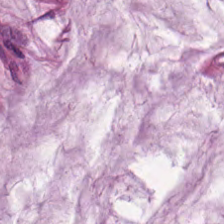Hematoxylin and eosin; 0.5 µm per pixel. Q: What does this patch show?
A: It is extracellular mucin.
